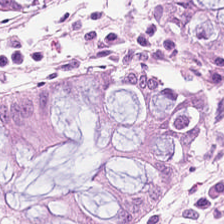H&E-stained tissue section; FFPE tissue section. Q: What does this patch show?
A: Benign colonic mucosa.
